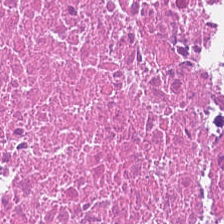Whole-slide-image patch; hematoxylin-and-eosin stained section; 0.5 µm/px.
Predominant tissue = cellular debris.
